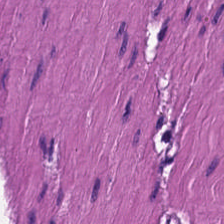Tissue — muscularis.
